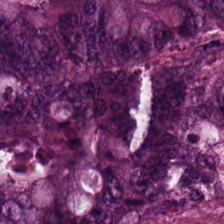Hematoxylin and eosin. Impression → tumor epithelium.
